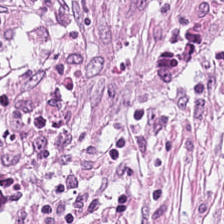H&E stain · 0.5 µm per pixel · FFPE — Tissue = tumor-associated stroma.
